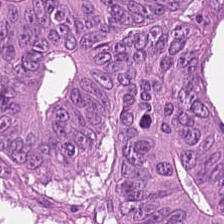Q: What is shown in this field?
A: It is colorectal adenocarcinoma epithelium.
